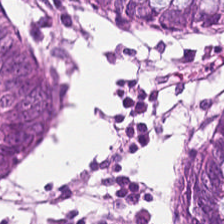Hematoxylin and eosin — The tissue type is normal colonic mucosa.
